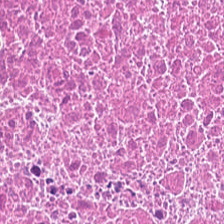H&E stain · 224×224 px patch — Classification = debris.
